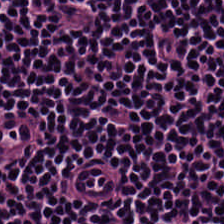H&E stain.
Predominantly lymphocyte aggregate.
